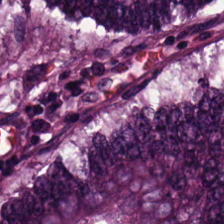Brightfield microscopy · H&E stain — Tissue type — colorectal adenocarcinoma.
